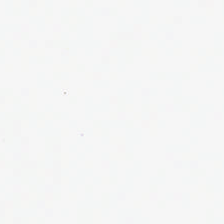FFPE · hematoxylin-and-eosin stained section.
Empty field — background (no tissue).
